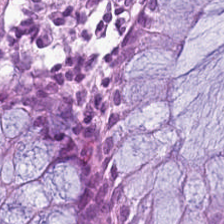Stain: hematoxylin-and-eosin stained section.
Tile size: 224×224 px tile.
Tissue: non-neoplastic colon mucosa.
